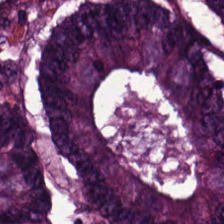FFPE. Hematoxylin-and-eosin stained section. 224×224 px tile.
Classification = tumor epithelium.
